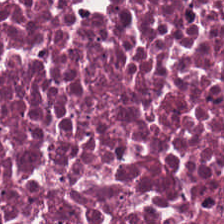Hematoxylin and eosin. Predominant tissue — debris.
